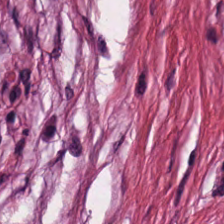Histology → desmoplastic stroma.
